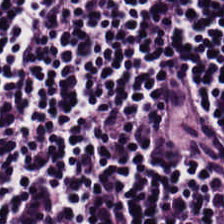H&E stain — Predominantly lymphocytes.
